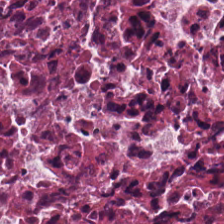Q: What tissue type is shown here?
A: The field shows necrotic debris.
